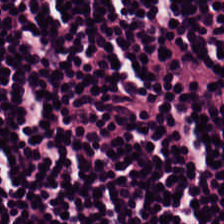Hematoxylin and eosin — The classification is lymphocytes.
